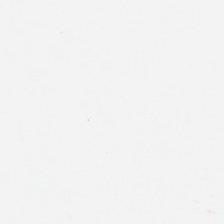0.5 microns per pixel · hematoxylin-and-eosin stained section — No tissue present; background only.
